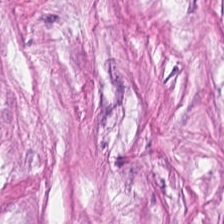Hematoxylin and eosin — {"tissue_type": "cancer-associated stroma"}
